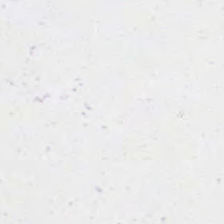224×224 pixel tile. H&E-stained tissue section. FFPE.
Empty field — background (no tissue).
